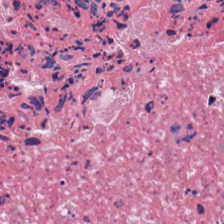Hematoxylin and eosin.
Predominant tissue = debris.
